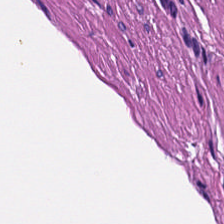Q: What does this patch show?
A: The field shows smooth muscle.
